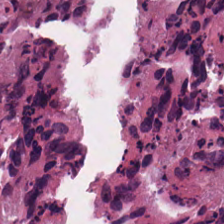FFPE. H&E-stained tissue section — Tissue type — necrotic debris.
